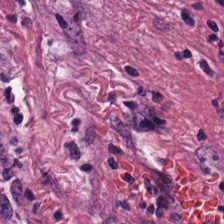H&E.
Desmoplastic stroma.
